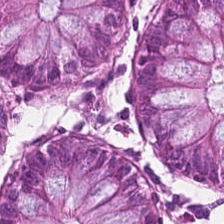Stain: H&E stain.
Tile size: 224×224 px patch.
Tissue: benign colonic mucosa.
